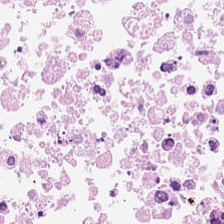224×224 pixel tile; 0.5 µm per pixel; H&E stain. Q: What type of tissue is this?
A: This is debris.
